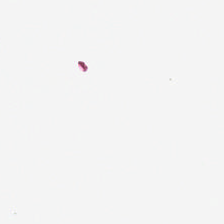H&E-stained tissue section; FFPE tissue section — Q: What does this patch show?
A: It is background (no tissue).
